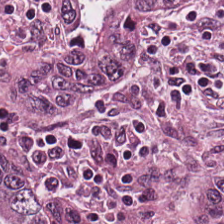H&E stain. 0.5 µm per pixel — Classification — colorectal adenocarcinoma.
